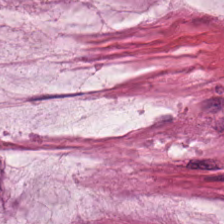Formalin-fixed paraffin-embedded section; H&E stain — Mucus.
